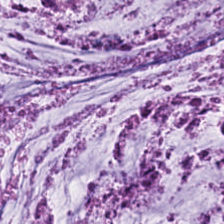{"tissue_type": "mucin"}
